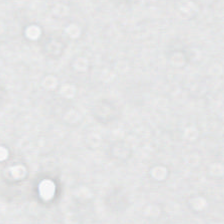No tissue present; background only.
